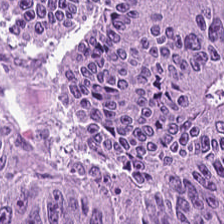H&E stain.
Colorectal adenocarcinoma.
